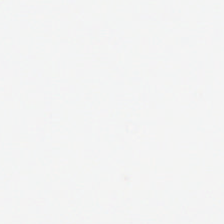H&E · 0.5 µm per pixel. This field is background (no tissue).
